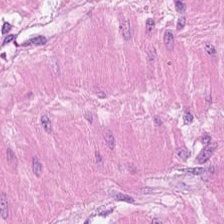H&E — Predominant tissue — muscularis.
